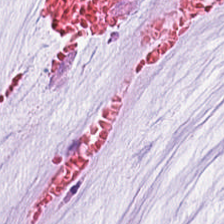H&E.
Mucin.
